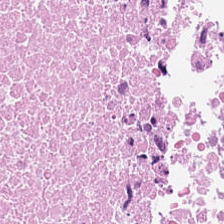Q: What does this patch show?
A: Debris.
